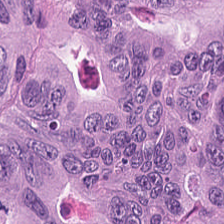WSI patch; FFPE tissue section; H&E stain. Showing colorectal adenocarcinoma epithelium.
